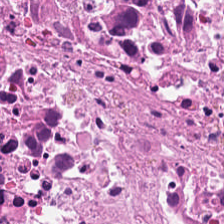Hematoxylin-and-eosin stained section.
Q: Identify the tissue.
A: The field shows necrotic debris.
